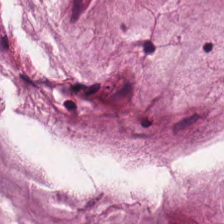Hematoxylin-and-eosin stained section · formalin-fixed paraffin-embedded section. Predominant tissue — mucin.
